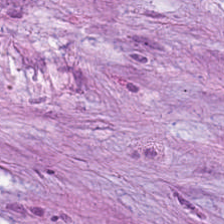H&E — desmoplastic stroma.
